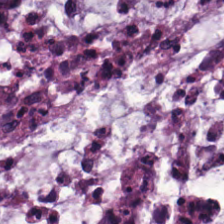224×224 pixel tile; hematoxylin-and-eosin stained section; 20× equivalent magnification.
Finding — mucin.
